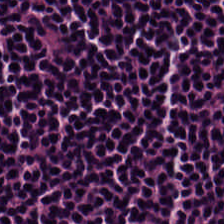This patch shows lymphocytic infiltrate.
